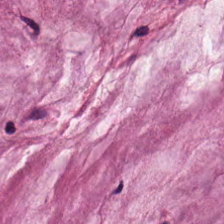Hematoxylin and eosin.
Showing mucin.
